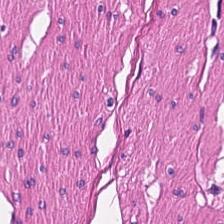H&E — {"tissue_type": "smooth-muscle tissue"}
